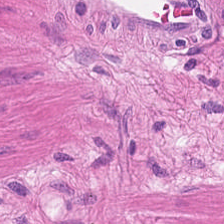Hematoxylin and eosin. 0.5 µm per pixel. Classification = smooth-muscle tissue.
